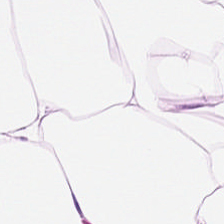Stain: H&E-stained tissue section.
Resolution: 0.5 µm/px.
Classification: adipose.
